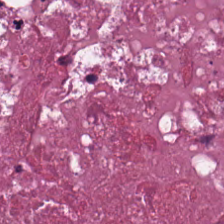H&E stain. Finding — necrotic debris.
